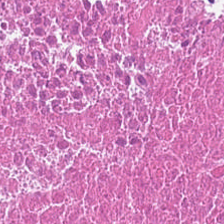{"tissue_type": "debris"}
